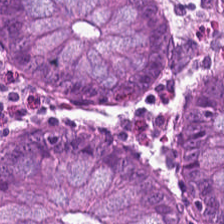{"tissue_type": "benign colonic mucosa"}
